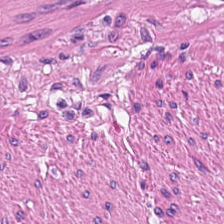Showing muscularis.
